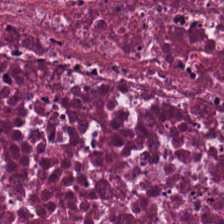Stain: hematoxylin and eosin.
Resolution: 0.5 microns per pixel.
Tissue type: necrotic debris.
